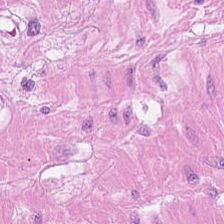H&E. The predominant tissue is muscularis.
